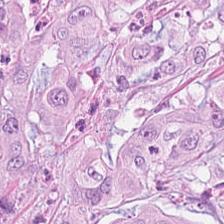Predominant tissue — adenocarcinoma.
